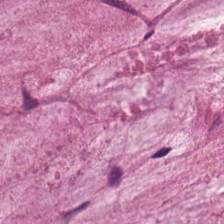H&E-stained tissue section — Predominantly mucus.
